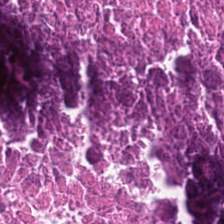0.5 µm per pixel; H&E; FFPE tissue section.
Showing cellular debris.
